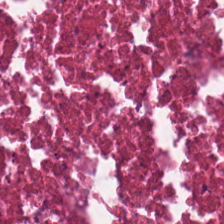Histology — debris.
